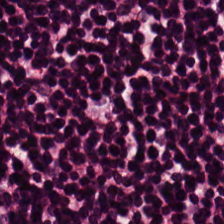Hematoxylin and eosin.
Showing lymphocytes.
